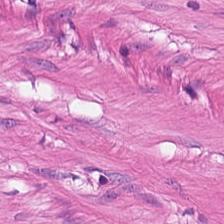{"tissue_type": "smooth-muscle tissue"}
